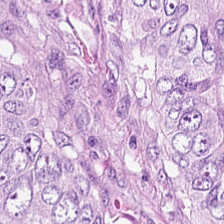H&E — The tissue is tumor epithelium.
